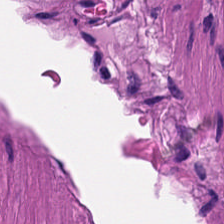Classification: muscularis.
